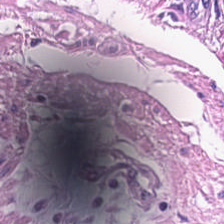Formalin-fixed paraffin-embedded section · H&E-stained tissue section. Histology → muscularis.
